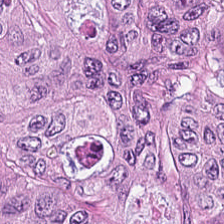H&E. Formalin-fixed paraffin-embedded section. Q: Identify the tissue.
A: It is colorectal adenocarcinoma epithelium.
